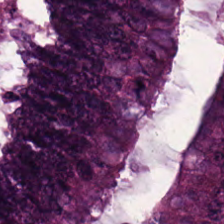Hematoxylin and eosin; 224×224 px patch. This field is tumor epithelium.
